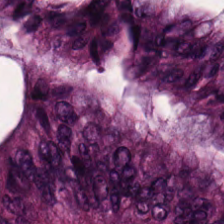Histology — colorectal adenocarcinoma epithelium.
